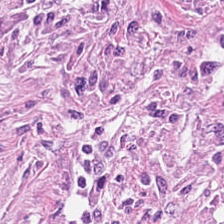Hematoxylin and eosin — Q: Classify this patch.
A: The field shows tumor-associated stroma.
